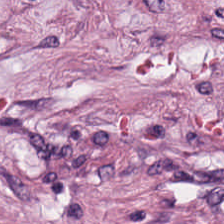H&E stain. Predominant tissue — tumor stroma.
